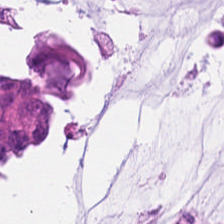Hematoxylin and eosin.
Tissue class = mucus.
